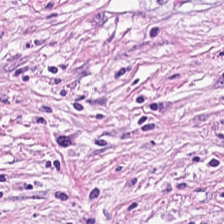Tissue: cancer-associated stroma.
